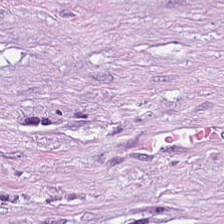H&E stain. The tissue here is tumor stroma.
